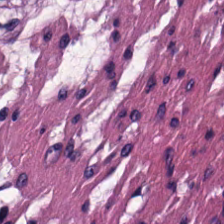H&E-stained section; the field shows muscularis.
